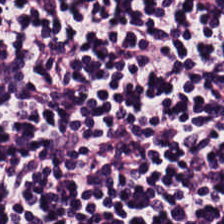Stain: H&E-stained tissue section.
Resolution: 20× equivalent magnification.
Tile size: 224×224 px patch.
Classification: lymphoid infiltrate.
